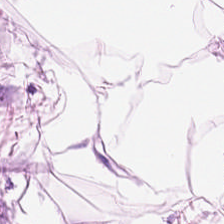Hematoxylin and eosin — Q: Classify this patch.
A: It is adipocytes.
